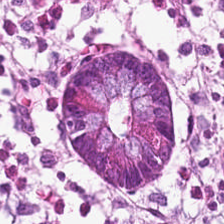H&E-stained tissue section.
Non-neoplastic colon mucosa.
